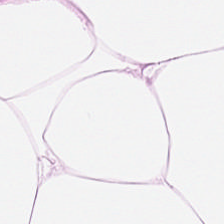Classification — adipose tissue.
